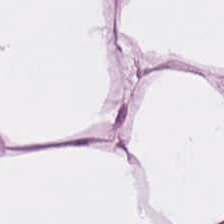224×224 pixel tile; hematoxylin-and-eosin stained section — Classification: adipocytes.
